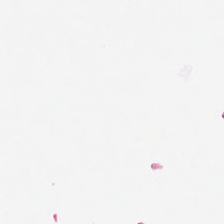Brightfield microscopy. H&E-stained tissue section. Histology — no tissue.
